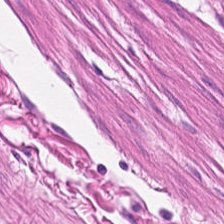H&E; 20× equivalent magnification; 224×224 px tile — Q: What is shown in this field?
A: Muscularis.
